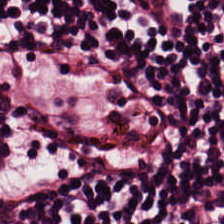H&E stain. The tissue here is lymphocyte aggregate.
